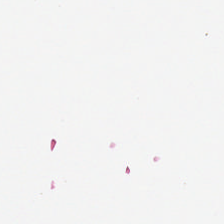H&E-stained tissue section. Empty background.
